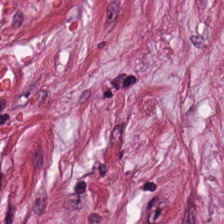H&E.
Predominant tissue: cancer-associated stroma.
